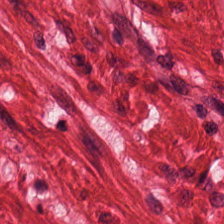Stain: H&E-stained tissue section.
Tissue type: muscularis.
